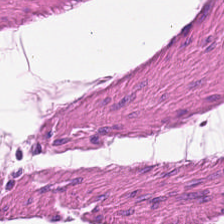Hematoxylin-and-eosin stained section — The tissue here is smooth muscle.
